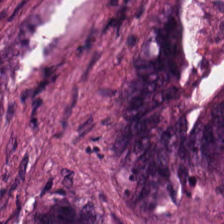Stain: H&E.
Predominant tissue: malignant epithelium.
